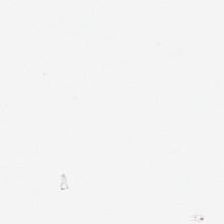Stain: H&E stain.
Content: no tissue.
